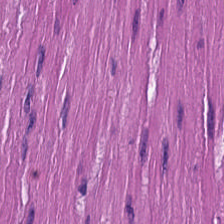0.5 microns per pixel; hematoxylin-and-eosin stained section; 224×224 px patch. {"tissue_type": "smooth-muscle tissue"}
